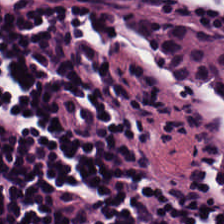Hematoxylin and eosin. Whole-slide-image patch — Predominantly lymphoid infiltrate.
